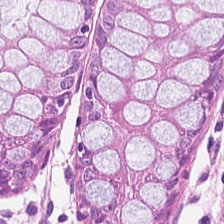H&E-stained tissue section; brightfield microscopy — Benign colonic mucosa.
